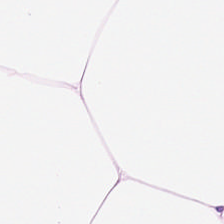This field is fat tissue.
